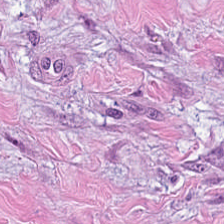{"tissue_type": "tumor stroma"}
